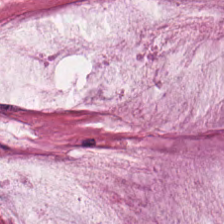Hematoxylin and eosin. The tissue is mucus.
